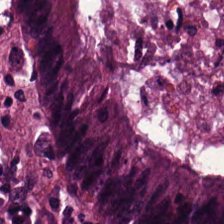H&E stain — The predominant tissue is colorectal adenocarcinoma epithelium.
